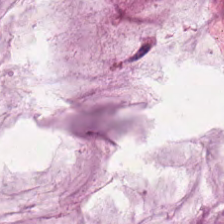224×224 px patch; hematoxylin and eosin.
Showing mucus.
